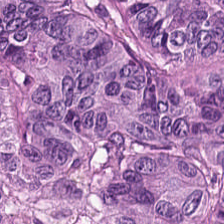Whole-slide-image patch; hematoxylin-and-eosin stained section.
Histology → adenocarcinoma.
